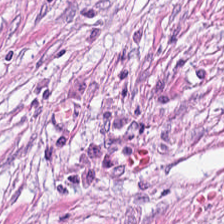H&E-stained tissue section — Tissue class = tumor stroma.
